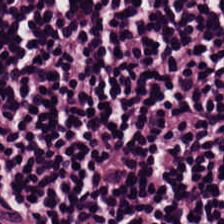Stain: hematoxylin-and-eosin stained section.
Resolution: 0.5 microns per pixel.
Classification: lymphoid infiltrate.
